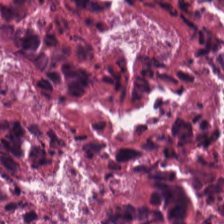H&E-stained tissue section showing debris.
